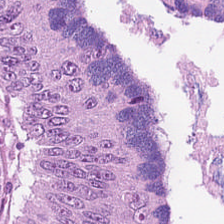The classification is adenocarcinoma.
